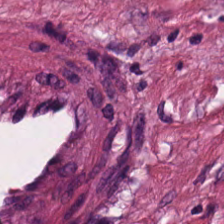{"tissue_type": "desmoplastic stroma"}
